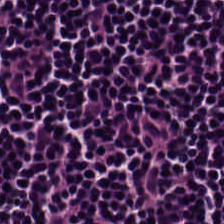H&E. The classification is lymphocytes.
